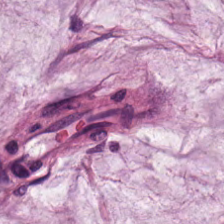Tissue type — mucus.
